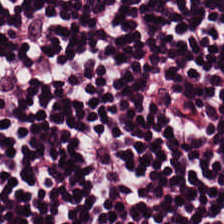0.5 microns per pixel; hematoxylin and eosin; FFPE tissue section.
The tissue here is lymphocytes.
